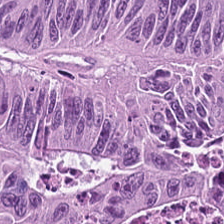H&E stain — This field is tumor epithelium.
